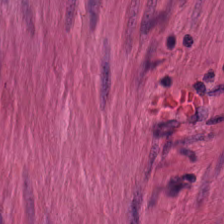H&E stain.
This patch shows smooth-muscle tissue.
